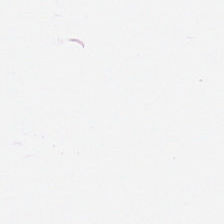Histology → fat tissue.
